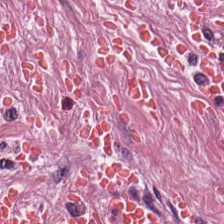224×224 pixel tile. H&E — This field is tumor-associated stroma.
